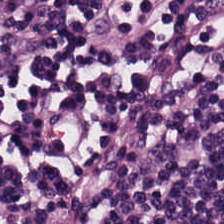WSI patch · hematoxylin-and-eosin stained section · formalin-fixed paraffin-embedded section. Showing lymphocyte aggregate.
